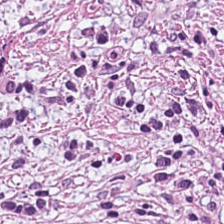Hematoxylin-and-eosin section: desmoplastic stroma.
